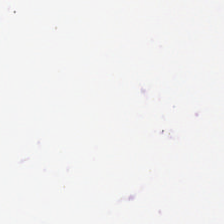The field content is background (no tissue).
